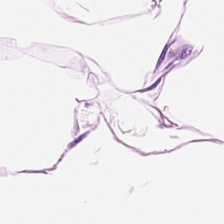Q: What does this patch show?
A: This is adipose.
